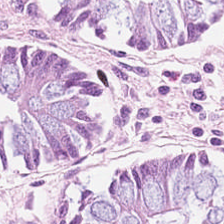Brightfield · hematoxylin and eosin.
The tissue here is non-neoplastic colon mucosa.
